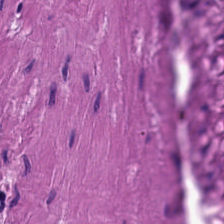H&E-stained tissue section — This patch shows smooth muscle.
